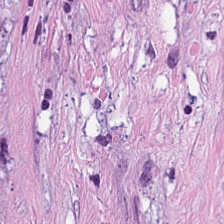H&E-stained tissue section.
Classification: cancer-associated stroma.
